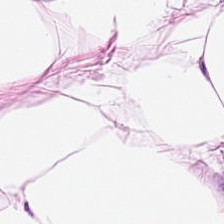H&E stain. This field is adipose tissue.
